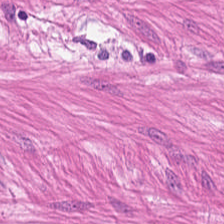H&E. The tissue is muscularis.
